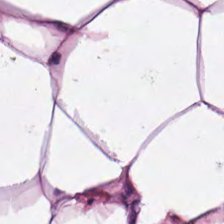Predominantly adipose.
